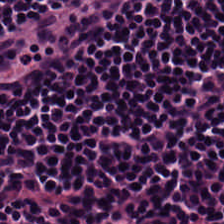Stain: H&E.
Predominant tissue: lymphocyte aggregate.
